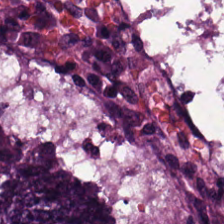H&E — The tissue is adenocarcinoma.
